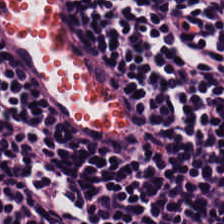Hematoxylin-and-eosin stained section.
Q: What does this patch show?
A: This is lymphoid infiltrate.
